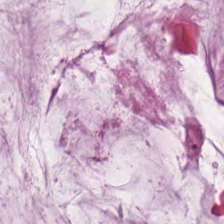Hematoxylin-and-eosin stained section. Q: Identify the tissue.
A: Mucin.
